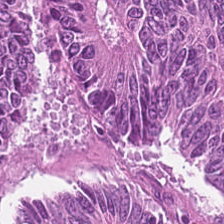Q: What tissue type is shown here?
A: It is tumor epithelium.
